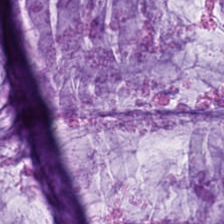Tissue — mucus.
